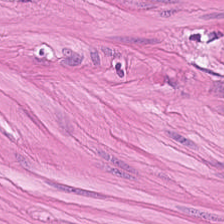H&E.
Tissue type: smooth muscle.
